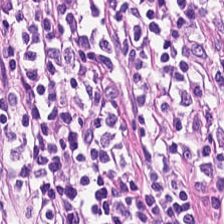Q: What is the predominant tissue type?
A: This is lymphoid infiltrate.
